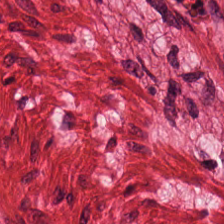H&E — Impression → smooth-muscle tissue.
